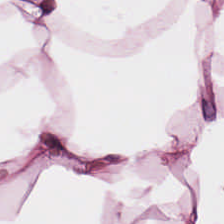H&E-stained tissue section · 0.5 µm/px · formalin-fixed paraffin-embedded section. Fat tissue.
